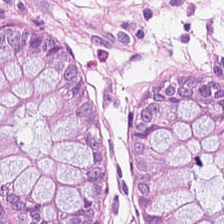Q: What does this patch show?
A: It is non-neoplastic colon mucosa.
